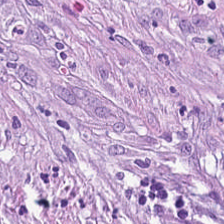H&E; FFPE tissue section.
Q: What does this patch show?
A: It is tumor stroma.
